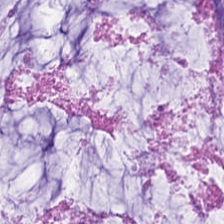224×224 pixel tile; H&E-stained tissue section — Q: What is shown in this field?
A: It is extracellular mucin.
